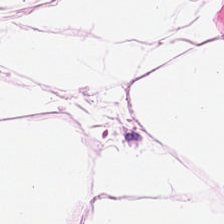Hematoxylin-and-eosin stained section · FFPE. Tissue type = adipocytes.
